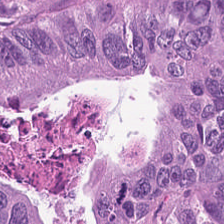Hematoxylin-and-eosin stained section; brightfield microscopy.
Impression — tumor epithelium.
